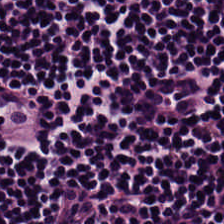Stain: hematoxylin-and-eosin stained section.
Resolution: 0.5 µm/px.
Predominant tissue: lymphocyte aggregate.
